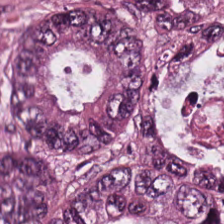Hematoxylin and eosin; brightfield — This field is colorectal adenocarcinoma.
